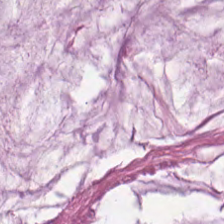H&E stain · 20× equivalent magnification.
This patch shows mucus.
